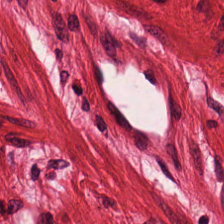H&E stain. Brightfield. 224×224 px patch.
Muscularis.
